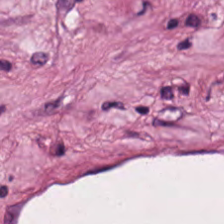This field is desmoplastic stroma.
